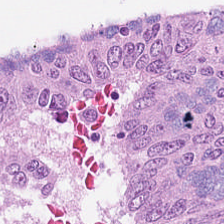The predominant tissue is colorectal adenocarcinoma.
